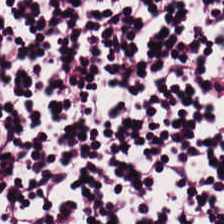Hematoxylin and eosin. This patch shows lymphoid infiltrate.
